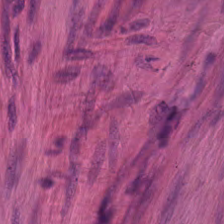Finding — muscularis.
